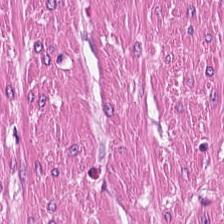H&E-stained tissue section · FFPE tissue section.
Impression → muscularis.
